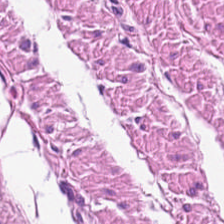Impression → muscularis.
